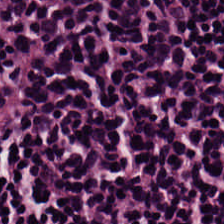Tissue class: lymphocytes.
